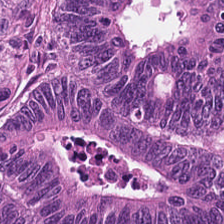H&E stain · 224×224 pixel tile.
The predominant tissue is adenocarcinoma.
